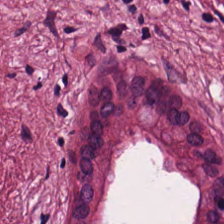Hematoxylin and eosin; FFPE.
Tissue = cancer-associated stroma.
